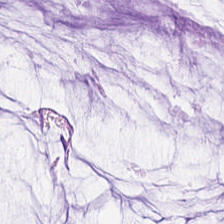20× equivalent magnification. Hematoxylin-and-eosin stained section.
Tissue type — mucus.
